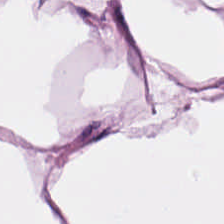Q: Classify this patch.
A: Fat tissue.
